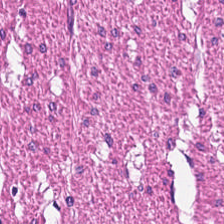Stain: H&E-stained tissue section.
Predominant tissue: smooth muscle.
